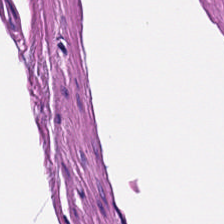Predominant tissue: smooth muscle.
